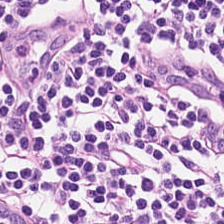Stain: H&E stain.
Preparation: formalin-fixed paraffin-embedded section.
Resolution: 0.5 µm/px.
Tissue class: lymphocytic infiltrate.
